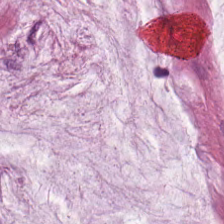224×224 px tile; hematoxylin and eosin.
Finding → mucus.
